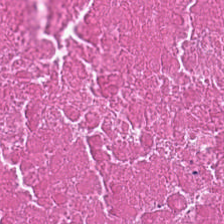Hematoxylin-and-eosin stained section · 224×224 pixel tile. This field is debris.
